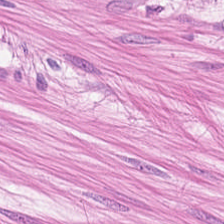0.5 microns per pixel; H&E-stained tissue section; 224×224 px tile. The classification is muscularis.
